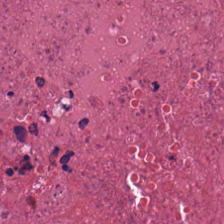H&E-stained tissue section. Showing cellular debris.
